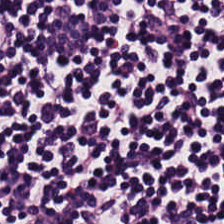H&E; brightfield microscopy. The tissue here is lymphocytic infiltrate.
